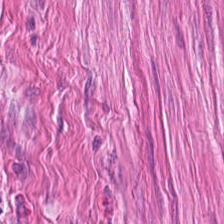H&E-stained tissue section. The tissue here is smooth muscle.
